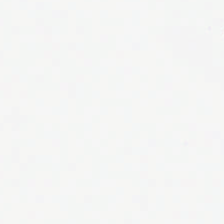Classification: background (no tissue).
